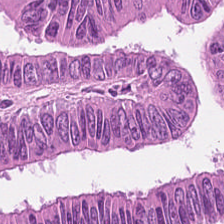Stain: hematoxylin-and-eosin stained section.
Tile size: 224×224 px patch.
Classification: tumor epithelium.
